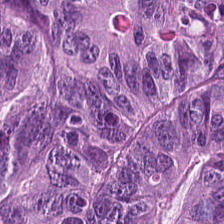Hematoxylin-and-eosin stained section; 20× equivalent magnification.
This field is tumor epithelium.
